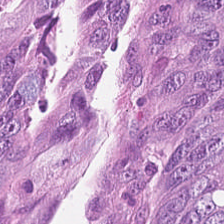Stain: hematoxylin-and-eosin stained section.
Tissue: tumor epithelium.
